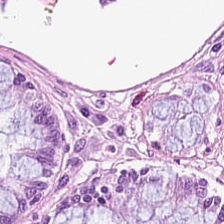H&E stain — Tissue class = benign colonic mucosa.
